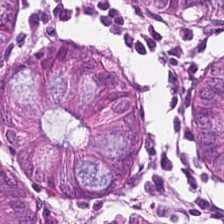Finding → non-neoplastic colon mucosa.
